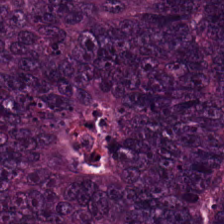Formalin-fixed paraffin-embedded section. H&E stain. Tissue: adenocarcinoma.
